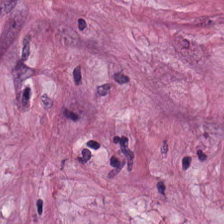Stain: H&E-stained tissue section.
Classification: tumor-associated stroma.
